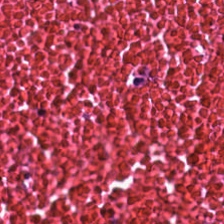Impression — necrotic debris.
